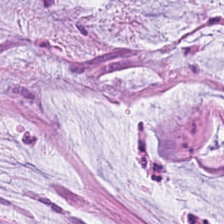Q: Identify the tissue.
A: The field shows mucin.
